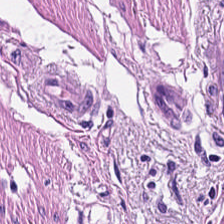{"tissue_type": "smooth muscle"}
